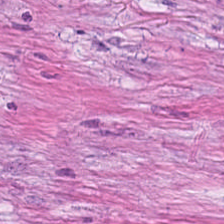H&E patch showing cancer-associated stroma.
